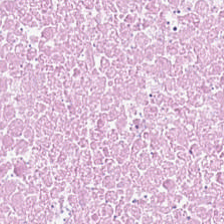H&E. The predominant tissue is necrotic debris.
